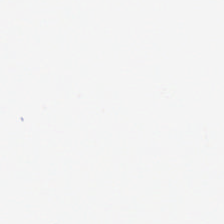Hematoxylin and eosin · brightfield.
Field content = background.
